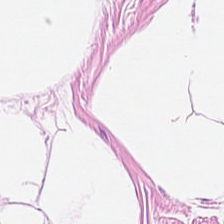H&E stain — {"tissue_type": "fat tissue"}
